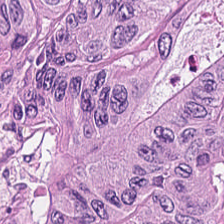Hematoxylin and eosin · 0.5 µm per pixel.
This patch shows malignant epithelium.
